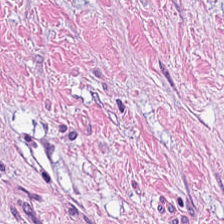Classification: desmoplastic stroma.
